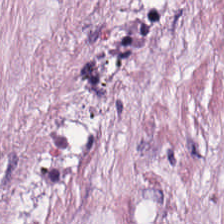H&E; whole-slide-image patch.
Q: Identify the tissue.
A: This is cancer-associated stroma.
